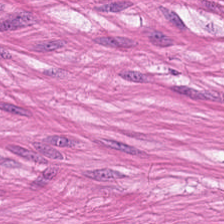Hematoxylin-and-eosin stained section. Showing muscularis.
